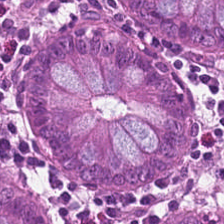Impression — normal colonic mucosa.
